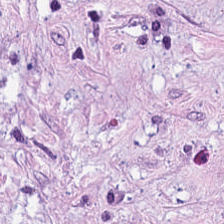0.5 microns per pixel. Hematoxylin-and-eosin stained section — The tissue here is tumor-associated stroma.
